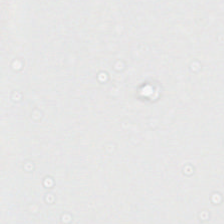Brightfield microscopy. H&E. Field content: no tissue.
